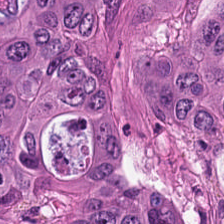224×224 px tile. Hematoxylin and eosin.
Q: Classify this patch.
A: It is malignant epithelium.
